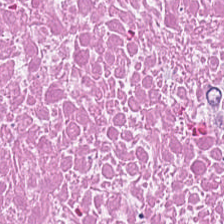H&E · 224×224 px patch · FFPE. Predominantly debris.
